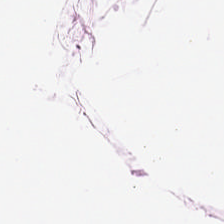H&E-stained tissue section showing adipose.
